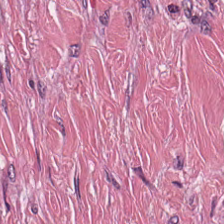Brightfield; H&E stain; FFPE tissue section.
{"tissue_type": "tumor-associated stroma"}
